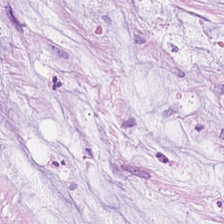H&E-stained tissue section. 0.5 microns per pixel.
Showing mucin.
